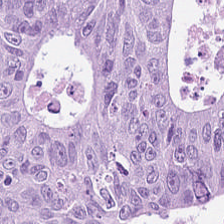Hematoxylin and eosin.
Q: What is the predominant tissue type?
A: The field shows tumor epithelium.
